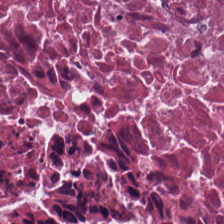Formalin-fixed paraffin-embedded section. Hematoxylin and eosin.
Impression — debris.
